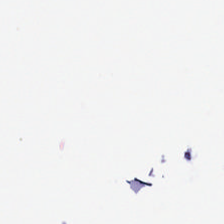Q: What does this patch show?
A: No tissue.
